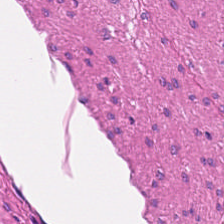Classification — smooth-muscle tissue.
